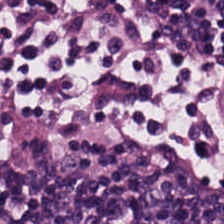Hematoxylin-and-eosin stained section — Q: What is shown here?
A: It is lymphocytic infiltrate.
